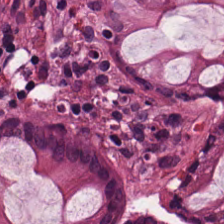Finding → normal colon mucosa.
